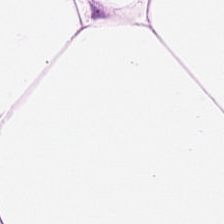Hematoxylin and eosin. Tissue type: adipocytes.
